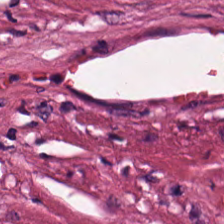H&E-stained tissue section — Q: Classify this patch.
A: It is cellular debris.
